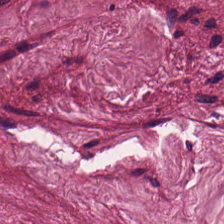H&E stain.
Tissue type = tumor-associated stroma.
